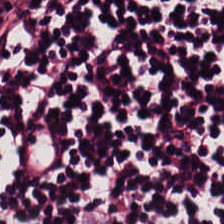FFPE tissue section · 0.5 µm/px · hematoxylin and eosin. Impression — lymphoid infiltrate.
